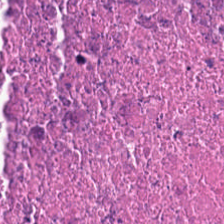Finding → cellular debris.
